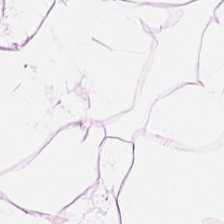224×224 px patch · H&E-stained tissue section. The tissue type is adipocytes.
